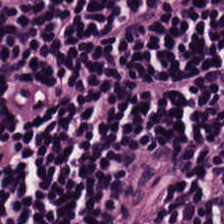Stain: H&E stain.
Preparation: FFPE tissue section.
Tissue type: lymphoid infiltrate.
